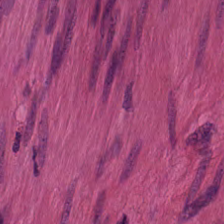H&E — This field is muscularis.
